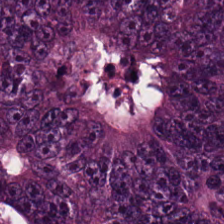224×224 px tile. H&E-stained tissue section. The tissue type is tumor epithelium.
